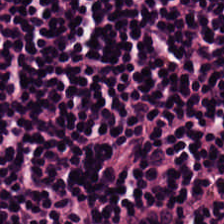Stain: hematoxylin and eosin.
Predominant tissue: lymphocytic infiltrate.
